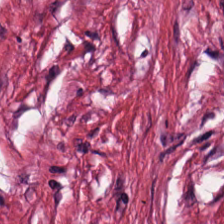H&E stain; 224×224 pixel tile; brightfield microscopy — Impression — tumor stroma.
